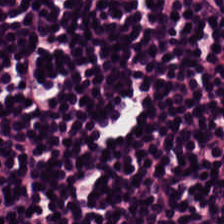H&E — Predominant tissue = lymphoid infiltrate.
